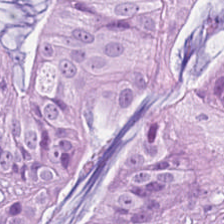Formalin-fixed paraffin-embedded section · hematoxylin and eosin · 224×224 px tile — The predominant tissue is malignant epithelium.
